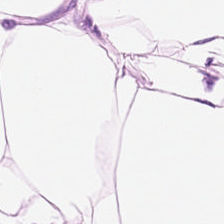Stain: H&E.
Preparation: FFPE tissue section.
Tissue type: fat tissue.
